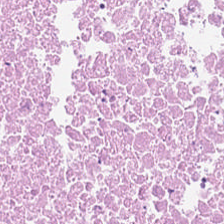Stain: H&E.
Tissue class: cellular debris.
